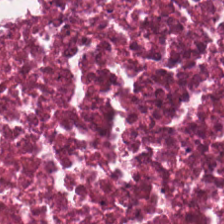H&E — Tissue — debris.
